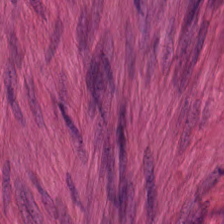Hematoxylin and eosin.
The predominant tissue is smooth muscle.
